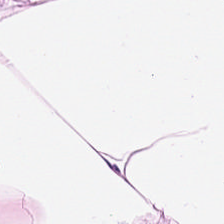H&E-stained tissue section.
Showing fat tissue.
